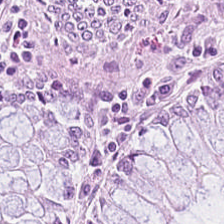Classification: benign colonic mucosa.
